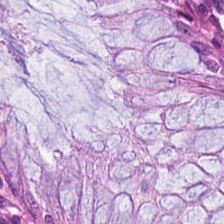Predominantly normal colonic mucosa.
